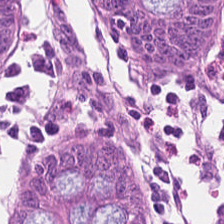Hematoxylin-and-eosin stained section; 224×224 px patch — Showing non-neoplastic colon mucosa.
